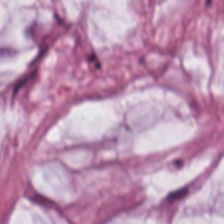Hematoxylin and eosin.
Tissue type: mucin.
